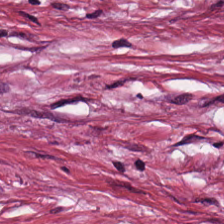Hematoxylin-and-eosin stained section — The predominant tissue is desmoplastic stroma.
